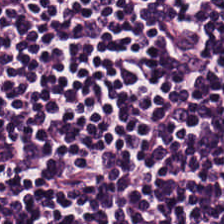H&E stain. Tissue: lymphocytic infiltrate.
